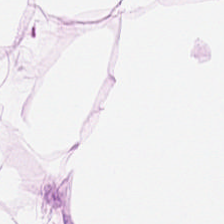Stain: hematoxylin-and-eosin stained section.
Preparation: FFPE tissue section.
Classification: fat tissue.
